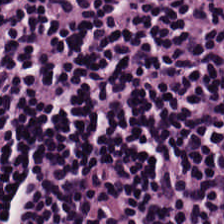Formalin-fixed paraffin-embedded section · 224×224 px tile · H&E stain — Finding — lymphoid infiltrate.
